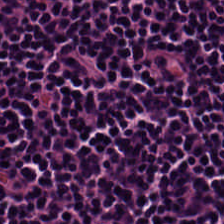Showing lymphoid infiltrate.
